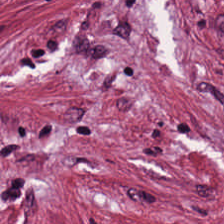H&E-stained tissue section; WSI patch. Impression → desmoplastic stroma.
